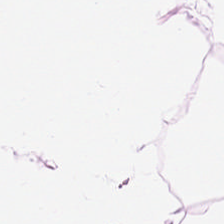Hematoxylin and eosin. 224×224 pixel tile — Showing adipose tissue.
